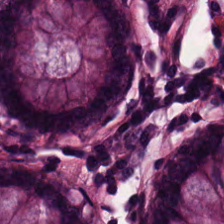Hematoxylin and eosin.
The tissue type is normal colonic mucosa.
